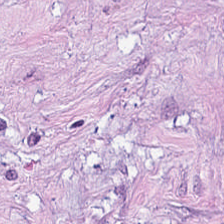Q: What tissue is shown?
A: This is cancer-associated stroma.
